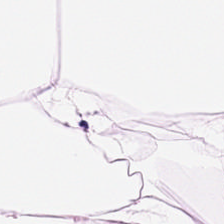The predominant tissue is adipose.
